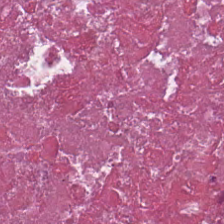Q: What is shown in this field?
A: This is debris.
